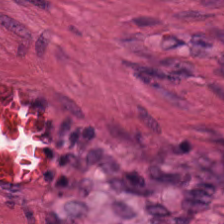H&E-stained section; the field shows smooth-muscle tissue.
